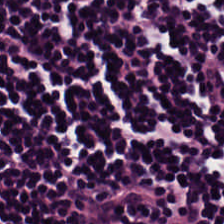H&E-stained tissue section. Brightfield.
This field is lymphoid infiltrate.
